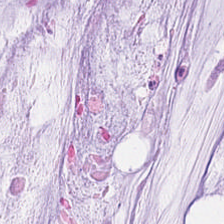Stain: H&E.
Tissue: mucin.
